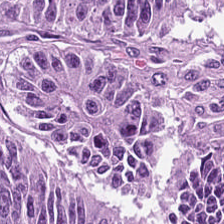H&E-stained section; the field shows colorectal adenocarcinoma epithelium.
